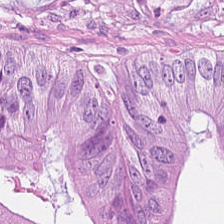H&E stain — Impression — malignant epithelium.
